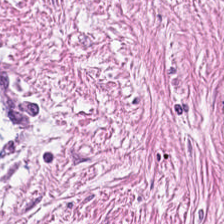Histology → desmoplastic stroma.
